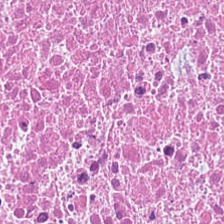H&E — Q: What is shown in this field?
A: It is debris.
